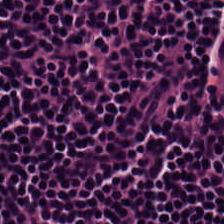0.5 microns per pixel; hematoxylin and eosin; whole-slide-image patch. Q: What tissue is shown?
A: The field shows lymphocytes.
